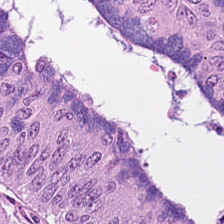H&E. Q: What type of tissue is this?
A: Colorectal adenocarcinoma.
